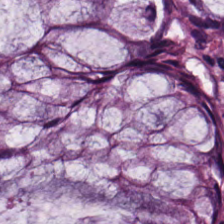224×224 px tile; 20× equivalent magnification; H&E.
Showing benign colonic mucosa.
